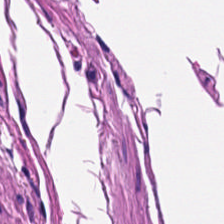H&E-stained tissue section — Q: What does this patch show?
A: The field shows smooth muscle.
